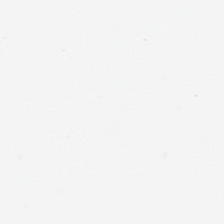224×224 pixel tile · 0.5 µm per pixel · H&E. This patch shows background.
